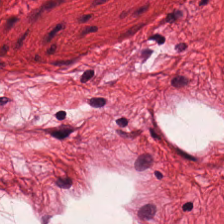Hematoxylin-and-eosin section: smooth-muscle tissue.
